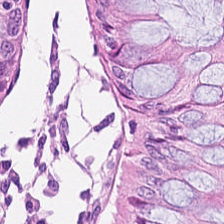H&E-stained tissue section.
Tissue class — benign colonic mucosa.
